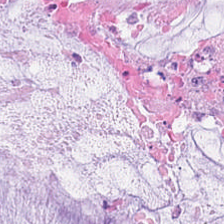Stain: H&E.
Predominant tissue: mucus.
